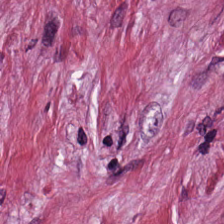H&E stain; 0.5 µm per pixel.
Impression → tumor stroma.
